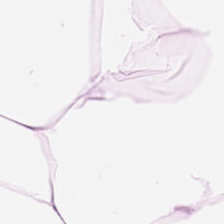FFPE · H&E-stained tissue section · 224×224 px tile. This field is adipose tissue.
